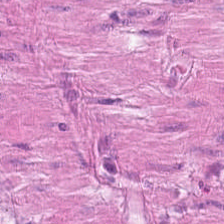Hematoxylin-and-eosin section: muscularis.
